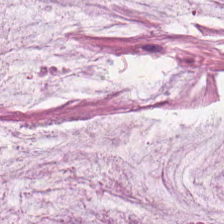H&E-stained tissue section. Mucus.
